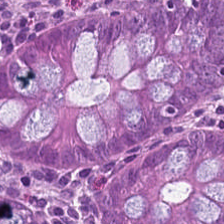H&E-stained tissue section.
Tissue type — benign colonic mucosa.
